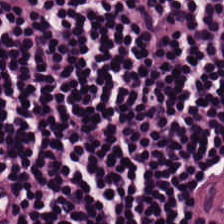Hematoxylin and eosin; WSI patch — Showing lymphocytic infiltrate.
